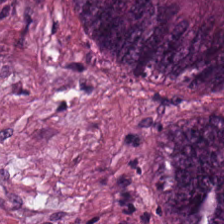H&E-stained tissue section.
Predominant tissue = adenocarcinoma.
